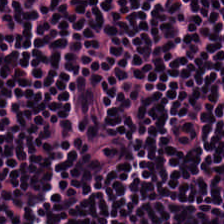Hematoxylin and eosin · whole-slide-image patch. Lymphocytic infiltrate.
